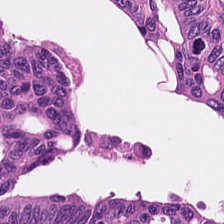H&E-stained section; the field shows malignant epithelium.
